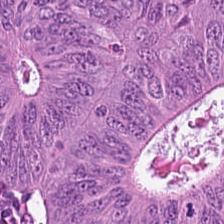224×224 px tile; WSI patch; hematoxylin-and-eosin stained section.
This field is adenocarcinoma.
